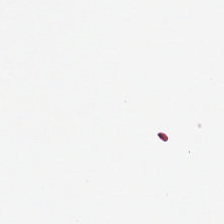H&E · 224×224 pixel tile. {"content": "empty background"}
